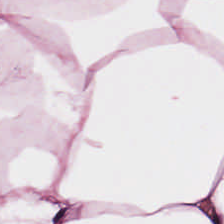Stain: hematoxylin-and-eosin stained section.
Tissue class: adipose.
